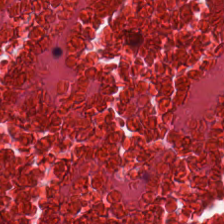Predominantly necrotic debris.
